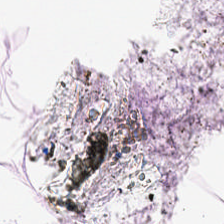H&E-stained tissue section.
Classification = adipose tissue.
